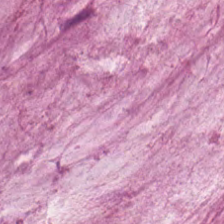Hematoxylin-and-eosin stained section — Q: What is shown in this field?
A: This is mucus.
